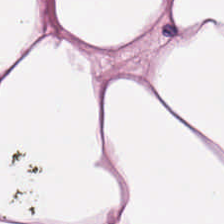H&E — Predominant tissue = adipose.
